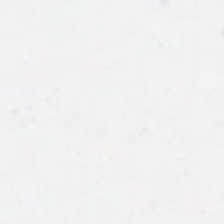Stain: H&E.
Tile size: 224×224 pixel tile.
Classification: background.
